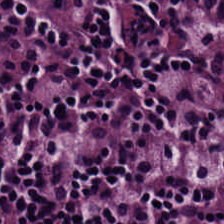Hematoxylin-and-eosin stained section.
Classification: lymphocyte aggregate.
